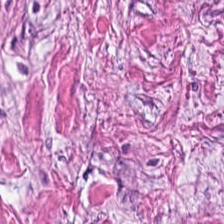H&E stain. Whole-slide-image patch — This patch shows desmoplastic stroma.
